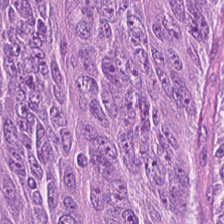H&E stain — Q: Identify the tissue.
A: Colorectal adenocarcinoma.
